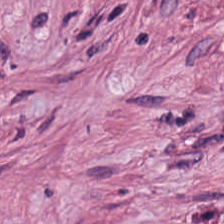H&E-stained tissue section.
This field is tumor-associated stroma.
